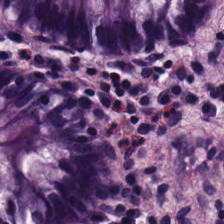FFPE · brightfield · H&E. Predominantly normal colon mucosa.
